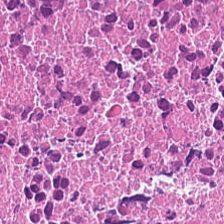Hematoxylin-and-eosin stained section — {"tissue_type": "necrotic debris"}
